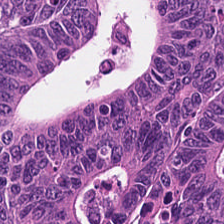WSI patch · hematoxylin and eosin. Classification: malignant epithelium.
